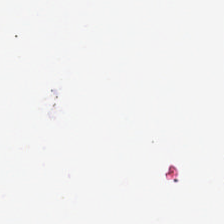Content: empty background.
